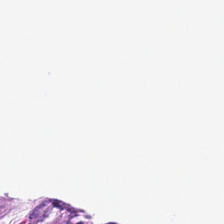Hematoxylin and eosin — Background — no tissue in this field.
